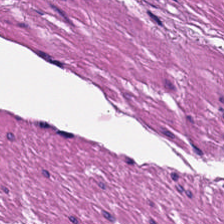Stain: H&E.
Predominant tissue: smooth-muscle tissue.
